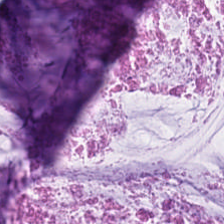0.5 µm per pixel · hematoxylin and eosin · FFPE tissue section.
{"tissue_type": "mucin"}
